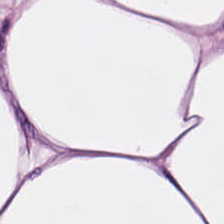H&E stain — This patch shows adipose tissue.
